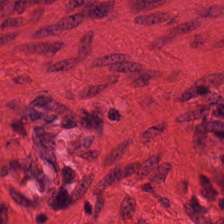H&E. Whole-slide-image patch.
This field is smooth-muscle tissue.
